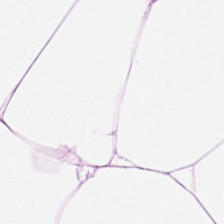Q: What is shown here?
A: It is fat tissue.
